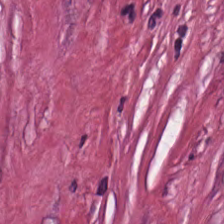Formalin-fixed paraffin-embedded section · H&E stain.
This field is tumor-associated stroma.
